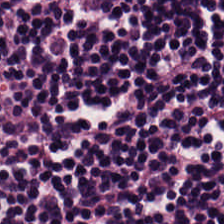Classification: lymphocytic infiltrate.
